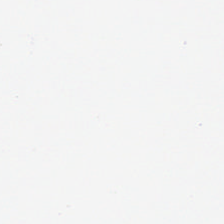H&E stain · WSI patch · 0.5 microns per pixel — No tissue.
